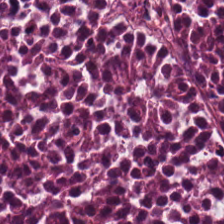Stain: hematoxylin and eosin.
Tissue: necrotic debris.
